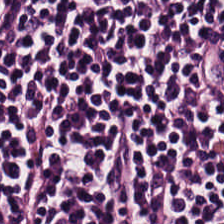FFPE; H&E-stained tissue section.
This field is lymphocyte aggregate.
